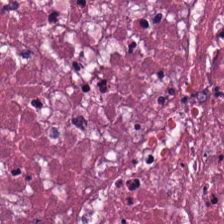H&E stain. Formalin-fixed paraffin-embedded section. This field is debris.
